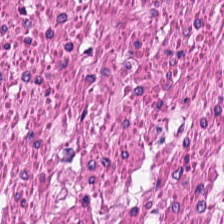H&E. Classification — smooth muscle.
